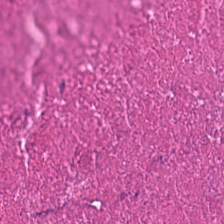WSI patch; 224×224 pixel tile; hematoxylin-and-eosin stained section.
The predominant tissue is debris.
